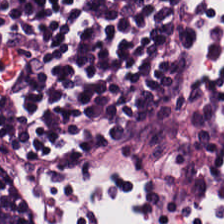H&E patch showing lymphocyte aggregate.
